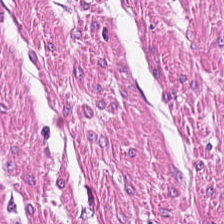Hematoxylin-and-eosin stained section — Q: What is shown in this field?
A: It is smooth-muscle tissue.
